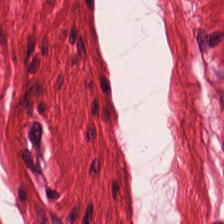H&E-stained tissue section; FFPE tissue section. Predominant tissue — smooth-muscle tissue.
